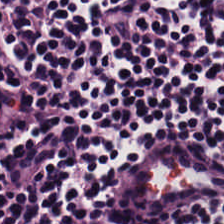224×224 px tile. Hematoxylin-and-eosin stained section — Histology → lymphocytic infiltrate.
